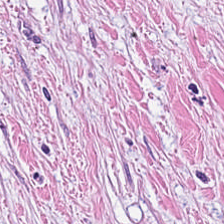H&E.
Q: What is shown here?
A: The field shows tumor-associated stroma.
